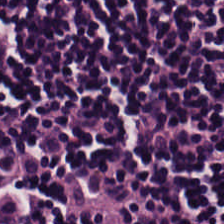224×224 px tile · H&E. The predominant tissue is lymphocyte aggregate.
